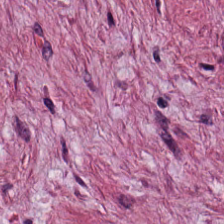H&E stain — Q: What tissue is shown?
A: This is tumor stroma.
